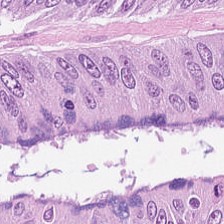This patch shows colorectal adenocarcinoma.
